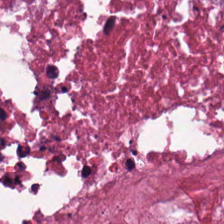Impression — cellular debris.
